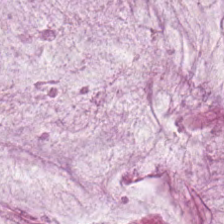H&E-stained tissue section showing extracellular mucin.
